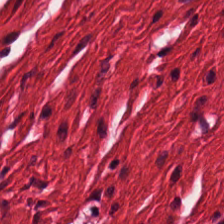H&E-stained tissue section. Q: What is the predominant tissue type?
A: This is smooth-muscle tissue.
